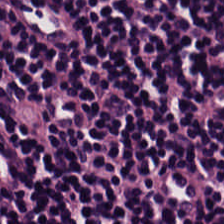H&E stain. 20× equivalent magnification.
This field is lymphocytic infiltrate.
